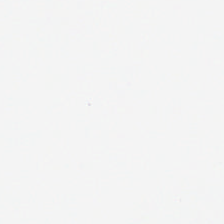Hematoxylin and eosin. Q: What does this patch show?
A: No tissue.
